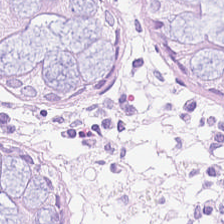H&E. Tissue type: non-neoplastic colon mucosa.
